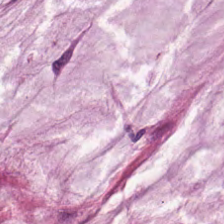H&E-stained tissue section showing extracellular mucin.
